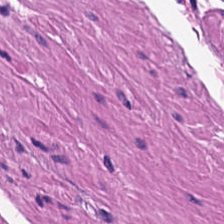H&E. This patch shows smooth-muscle tissue.
